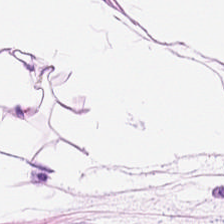Q: What is shown here?
A: It is fat tissue.
